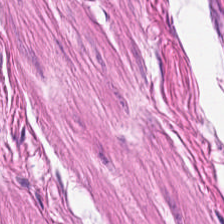Hematoxylin and eosin.
Predominantly smooth muscle.
